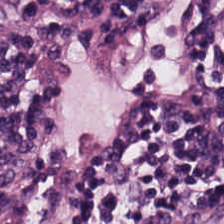Histology — lymphoid infiltrate.
